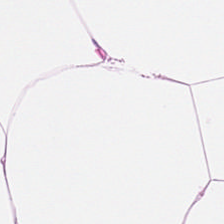224×224 px patch; H&E stain; FFPE tissue section — Q: What is the predominant tissue type?
A: This is adipose tissue.
